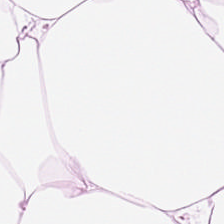Stain: H&E-stained tissue section.
Preparation: FFPE tissue section.
Tissue: adipocytes.
